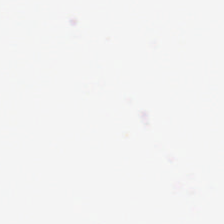Stain: H&E-stained tissue section.
Classification: empty background.
